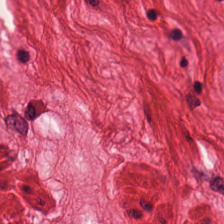H&E.
The tissue here is smooth muscle.
